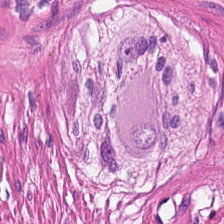The tissue type is muscularis.
